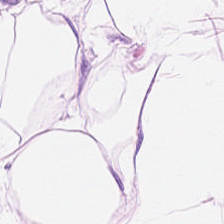This patch shows adipose tissue.
